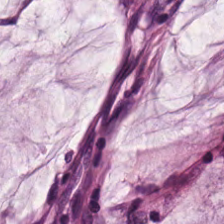H&E.
This field is mucin.
